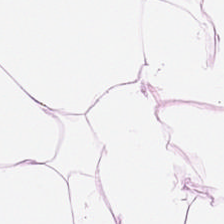Q: What is shown in this field?
A: Fat tissue.
